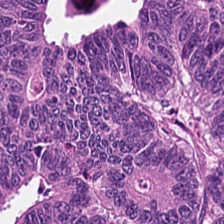Impression → colorectal adenocarcinoma epithelium.
